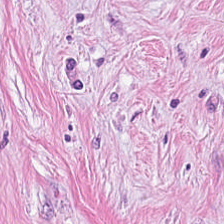FFPE tissue section; hematoxylin-and-eosin stained section. Predominant tissue — desmoplastic stroma.
